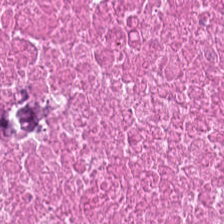H&E — Impression → debris.
